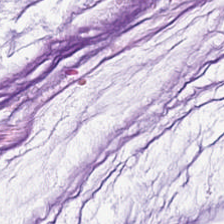Stain: H&E.
Tile size: 224×224 pixel tile.
Resolution: 0.5 µm/px.
Tissue: extracellular mucin.
